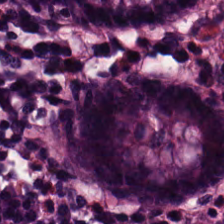Tissue class — benign colonic mucosa.
